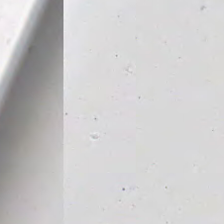Hematoxylin and eosin. This patch shows empty background.
